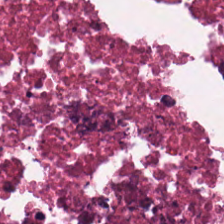WSI patch; 224×224 px tile; hematoxylin-and-eosin stained section — Finding → cellular debris.
